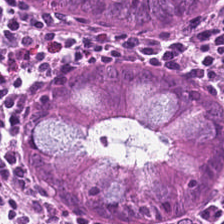Hematoxylin-and-eosin stained section. Tissue: normal colonic mucosa.
